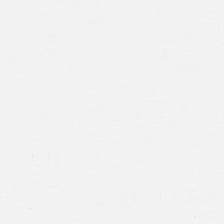Empty field — empty background.
